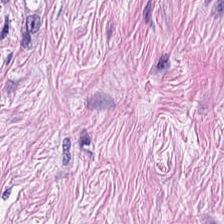H&E stain. Predominantly desmoplastic stroma.
